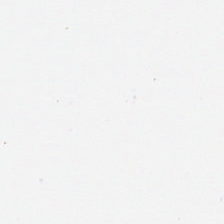Hematoxylin and eosin. Field content — background.
